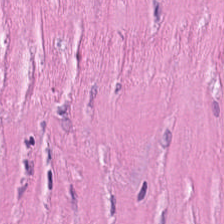Tissue class = cancer-associated stroma.
